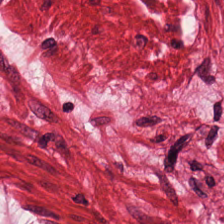Brightfield microscopy; hematoxylin-and-eosin stained section — Tissue — smooth muscle.
